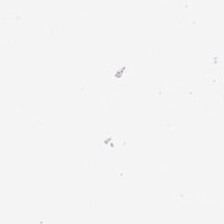H&E stain · 224×224 pixel tile · 0.5 microns per pixel.
Q: What is shown here?
A: Background.
